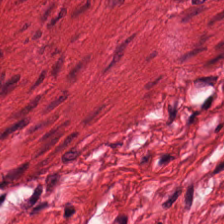H&E stain.
Showing muscularis.
